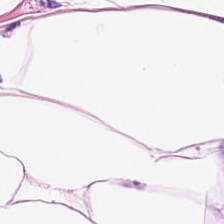Stain: hematoxylin and eosin.
Predominant tissue: adipose.
